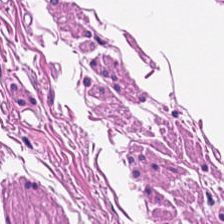Hematoxylin and eosin.
Smooth muscle.
